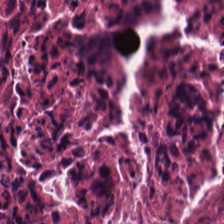Hematoxylin-and-eosin stained section — This field is necrotic debris.
